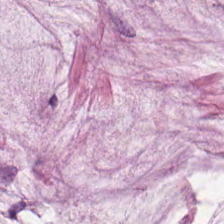H&E-stained section; the field shows mucin.
